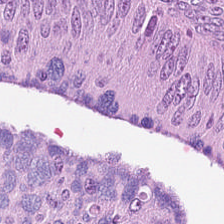Hematoxylin and eosin — Colorectal adenocarcinoma.
